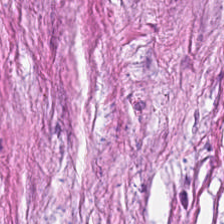Finding → cancer-associated stroma.
